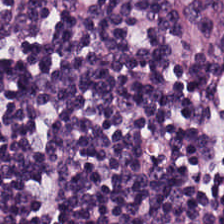H&E.
Lymphocyte aggregate.
